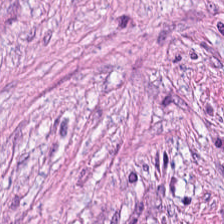Hematoxylin and eosin; 224×224 px tile — Impression → tumor-associated stroma.
